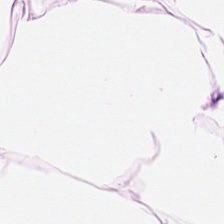Q: What does this patch show?
A: This is adipocytes.
